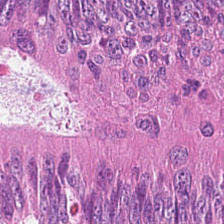Hematoxylin-and-eosin stained section — Finding — tumor epithelium.
